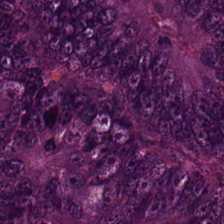Stain: hematoxylin and eosin.
Predominant tissue: adenocarcinoma.
